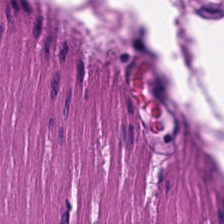Tissue class — smooth-muscle tissue.
